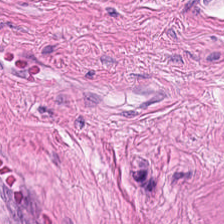Q: What tissue is shown?
A: Smooth-muscle tissue.
